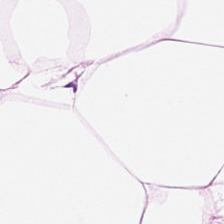Formalin-fixed paraffin-embedded section · H&E. This patch shows adipose tissue.
